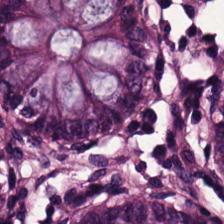H&E-stained tissue section — Q: What tissue type is shown here?
A: The field shows benign colonic mucosa.
